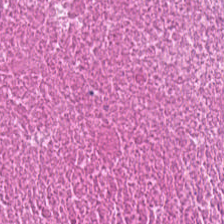Stain: hematoxylin-and-eosin stained section.
Tissue type: cellular debris.
